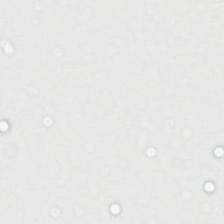This field is background (no tissue).
